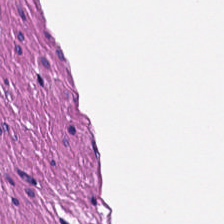H&E · 0.5 µm/px · whole-slide-image patch — Finding → smooth muscle.
